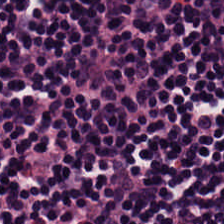H&E-stained section; the field shows lymphocytic infiltrate.
